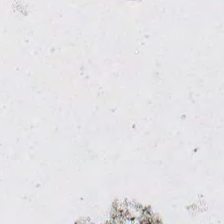Hematoxylin and eosin — This patch shows background (no tissue).
